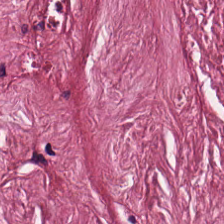Hematoxylin and eosin. Q: Classify this patch.
A: It is cancer-associated stroma.
